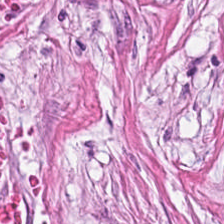Predominant tissue: tumor stroma.
